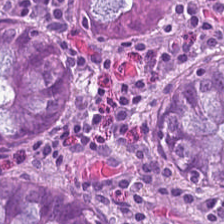The tissue here is benign colonic mucosa.
